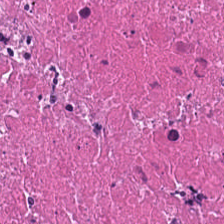Stain: H&E.
Tissue class: debris.
